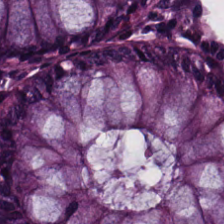H&E. Impression — normal colon mucosa.
